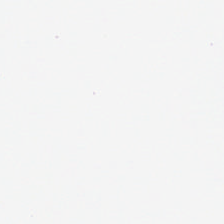H&E.
This patch shows background.
